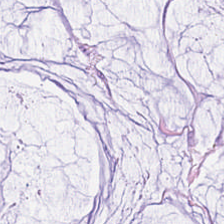Hematoxylin and eosin — This field is extracellular mucin.
